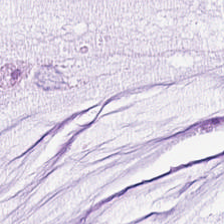H&E-stained tissue section · 224×224 pixel tile — Q: What tissue is shown?
A: Mucus.
